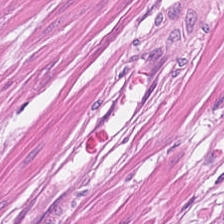Formalin-fixed paraffin-embedded section · hematoxylin and eosin — This field is muscularis.
